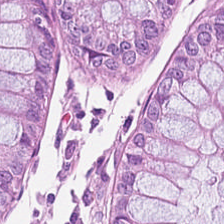0.5 µm per pixel. 224×224 px patch. Hematoxylin and eosin.
The tissue class is benign colonic mucosa.
